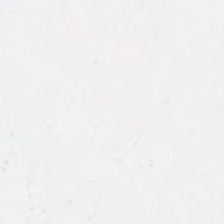Stain: H&E-stained tissue section.
Classification: empty background.
